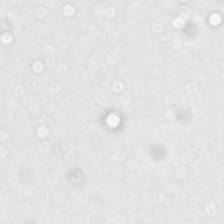H&E stain. Empty field — empty background.
